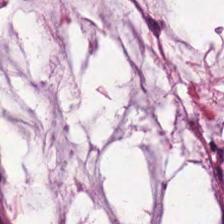Finding — mucin.
